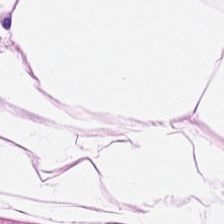Hematoxylin-and-eosin stained section. Q: What tissue type is shown here?
A: It is adipose.
